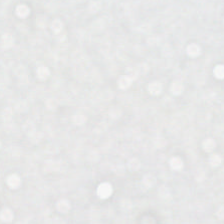FFPE; hematoxylin-and-eosin stained section.
Classification — empty background.
